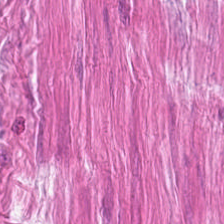Brightfield microscopy; H&E. {"tissue_type": "smooth muscle"}
